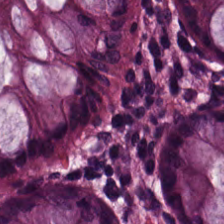0.5 µm/px · brightfield · hematoxylin-and-eosin stained section. The predominant tissue is normal colon mucosa.
